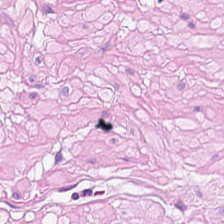Stain: H&E.
Tile size: 224×224 px tile.
Tissue: smooth-muscle tissue.
